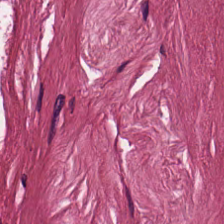FFPE tissue section; H&E stain — Q: What is shown here?
A: Tumor-associated stroma.
